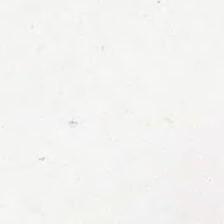Stain: H&E.
Field content: background.
